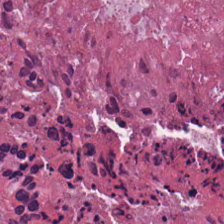H&E-stained section; the field shows debris.
